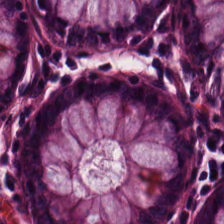H&E. FFPE tissue section. Histology → normal colon mucosa.
